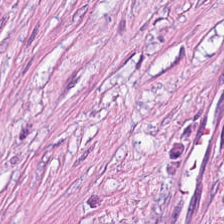H&E-stained section; the field shows tumor stroma.
